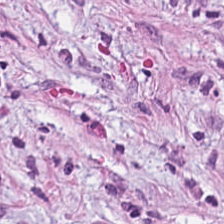The classification is tumor-associated stroma.
